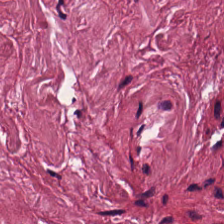H&E-stained tissue section. Predominantly desmoplastic stroma.
